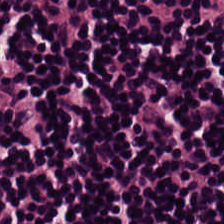Formalin-fixed paraffin-embedded section. H&E stain. 224×224 px tile — The predominant tissue is lymphocyte aggregate.
